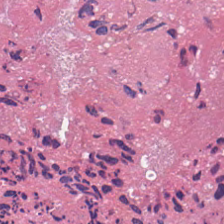Q: Identify the tissue.
A: Necrotic debris.
